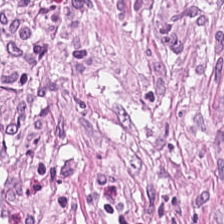Stain: hematoxylin-and-eosin stained section.
Tissue class: tumor-associated stroma.
